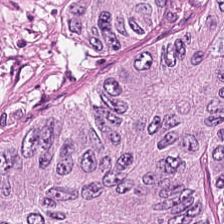Stain: hematoxylin and eosin.
Tissue type: malignant epithelium.
